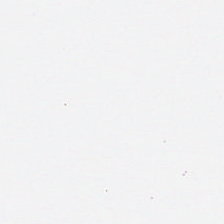H&E stain · 0.5 microns per pixel · brightfield microscopy. Classification: background.
